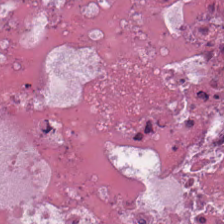Q: What tissue is shown?
A: The field shows necrotic debris.
